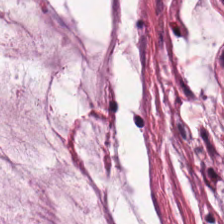Hematoxylin and eosin — Mucin.
